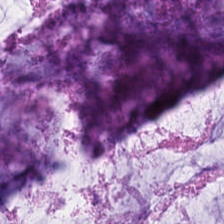Stain: hematoxylin-and-eosin stained section.
Tissue type: extracellular mucin.
